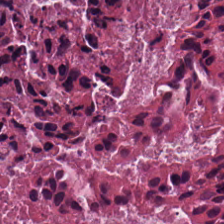Stain: hematoxylin and eosin.
Preparation: FFPE tissue section.
Resolution: 20× equivalent magnification.
Predominant tissue: cellular debris.
